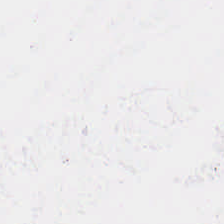Hematoxylin and eosin. Impression — background.
